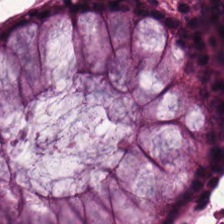Hematoxylin and eosin · 0.5 µm/px.
Predominantly normal colon mucosa.
